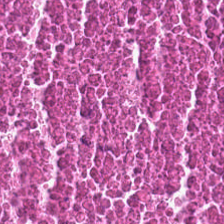H&E. Cellular debris.
